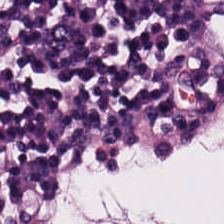The tissue here is lymphocyte aggregate.
